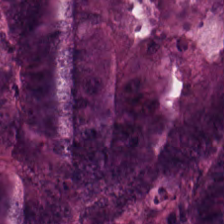Hematoxylin and eosin — Finding — adenocarcinoma.
